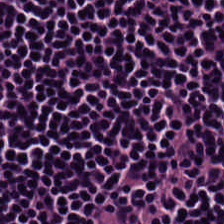224×224 px tile. 0.5 µm per pixel. H&E stain. {"tissue_type": "lymphoid infiltrate"}
